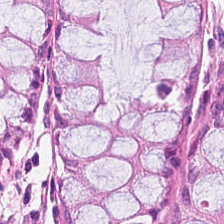Formalin-fixed paraffin-embedded section. H&E — Finding — normal colonic mucosa.
